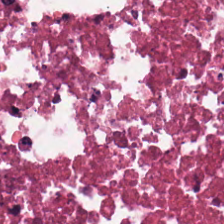Q: What is the predominant tissue type?
A: This is debris.
